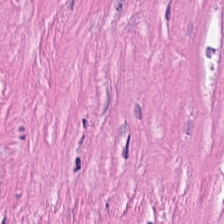Hematoxylin-and-eosin stained section · 0.5 µm/px.
Q: What is the predominant tissue type?
A: The field shows cancer-associated stroma.
